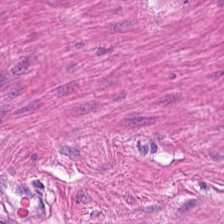H&E-stained tissue section.
The predominant tissue is muscularis.
